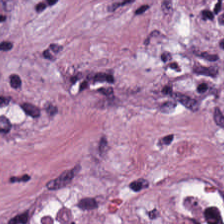224×224 pixel tile · FFPE tissue section · H&E — Tissue class — tumor stroma.
